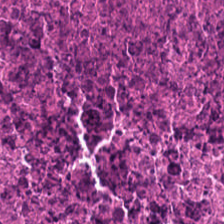H&E stain. WSI patch. The tissue here is cellular debris.
